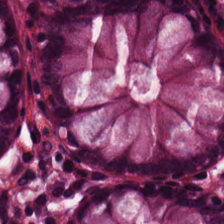Hematoxylin-and-eosin stained section · 224×224 pixel tile.
This field is normal colon mucosa.
